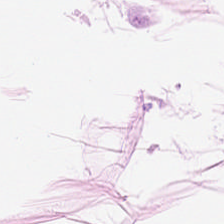Hematoxylin-and-eosin stained section.
This field is fat tissue.
